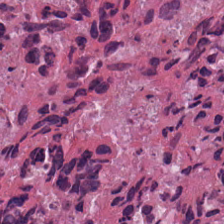Hematoxylin-and-eosin stained section. The predominant tissue is debris.
